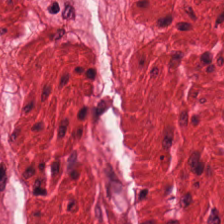H&E. Finding — muscularis.
